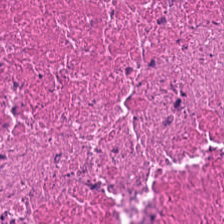Stain: H&E-stained tissue section.
Tissue type: necrotic debris.
